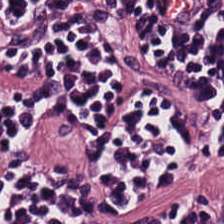H&E.
Showing lymphocyte aggregate.
